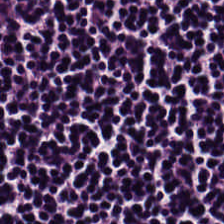Stain: H&E-stained tissue section.
Classification: lymphocyte aggregate.
